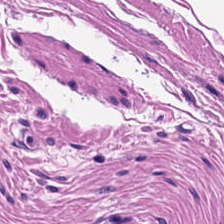Stain: H&E.
Predominant tissue: muscularis.
